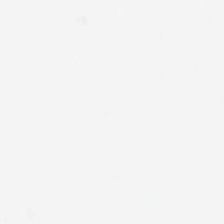H&E — This field is background (no tissue).
